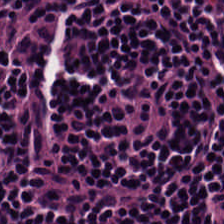H&E-stained tissue section. The predominant tissue is lymphocytes.
